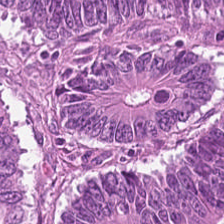H&E — colorectal adenocarcinoma epithelium.
